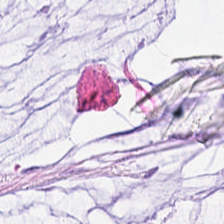H&E. The tissue here is extracellular mucin.
